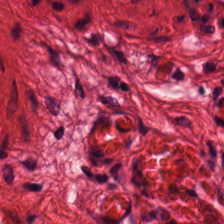H&E patch showing muscularis.
